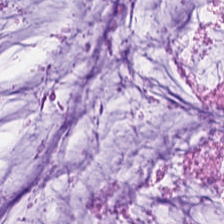H&E-stained tissue section.
Showing mucin.
